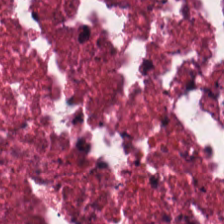Cellular debris.
